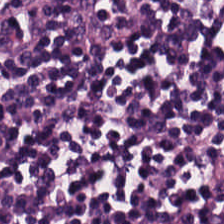H&E stain.
Predominantly lymphocytes.
